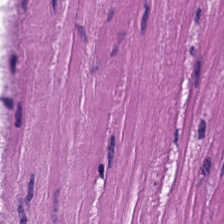Smooth muscle.
